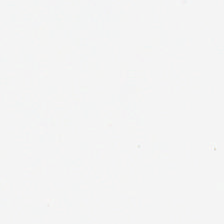224×224 px patch. H&E-stained tissue section — Q: What is shown in this field?
A: Background.
